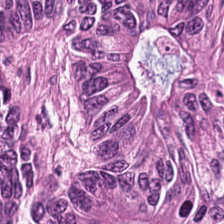H&E-stained tissue section. Impression — tumor epithelium.
